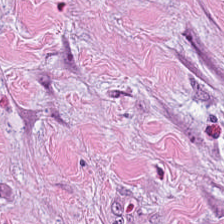{"tissue_type": "desmoplastic stroma"}
